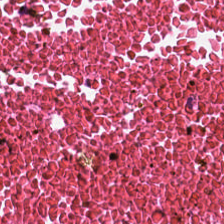H&E stain.
The predominant tissue is cellular debris.
